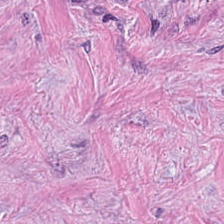Stain: hematoxylin and eosin.
Classification: tumor stroma.
